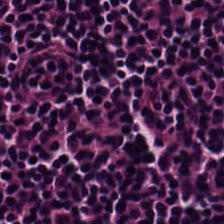Hematoxylin-and-eosin stained section. Tissue: lymphocytic infiltrate.
